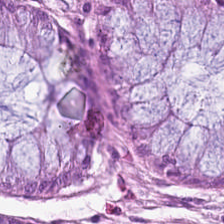{"tissue_type": "benign colonic mucosa"}
